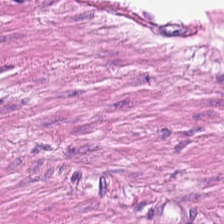Hematoxylin-and-eosin stained section — Showing smooth-muscle tissue.
